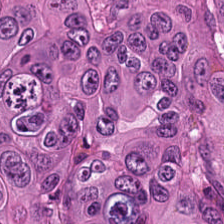Hematoxylin and eosin. Classification: tumor epithelium.
